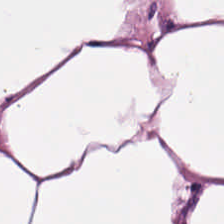Stain: H&E stain.
Tile size: 224×224 pixel tile.
Predominant tissue: adipose.
